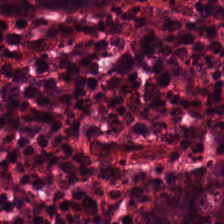0.5 microns per pixel · hematoxylin and eosin — Q: What tissue is shown?
A: Benign colonic mucosa.
